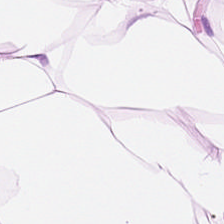H&E-stained tissue section.
{"tissue_type": "fat tissue"}
